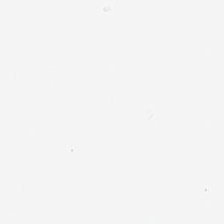Hematoxylin and eosin. Q: What is shown in this field?
A: The field shows background.
